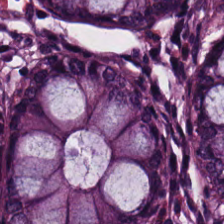H&E.
Tissue class = benign colonic mucosa.
